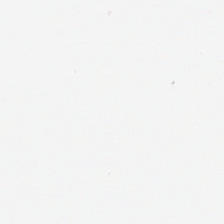Q: What is shown in this field?
A: The field shows empty background.
